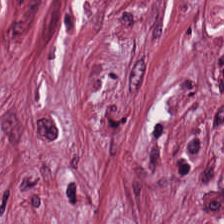H&E stain.
Predominant tissue = tumor stroma.
